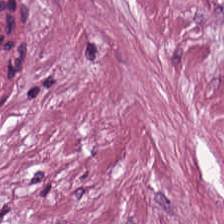H&E · 20× equivalent magnification.
Finding → tumor-associated stroma.
